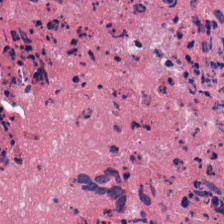FFPE tissue section; 0.5 microns per pixel; H&E stain. Impression — debris.
